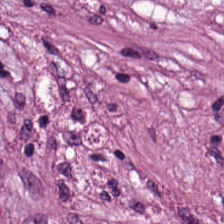Stain: H&E-stained tissue section.
Acquisition: brightfield microscopy.
Tissue type: desmoplastic stroma.
